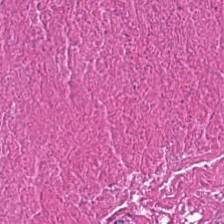Hematoxylin and eosin. {"tissue_type": "necrotic debris"}
